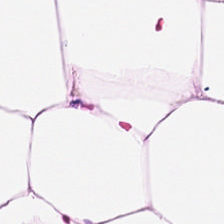FFPE. Hematoxylin-and-eosin stained section. WSI patch. Predominantly adipose.
